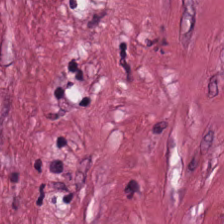H&E.
Q: What type of tissue is this?
A: It is desmoplastic stroma.
